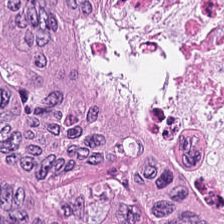Stain: H&E-stained tissue section.
Classification: tumor epithelium.
